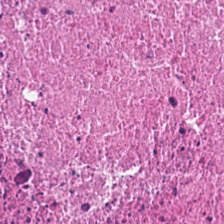Hematoxylin-and-eosin section: debris.
